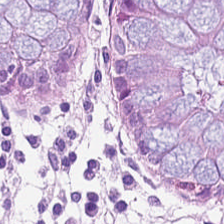Hematoxylin and eosin.
The tissue here is benign colonic mucosa.
